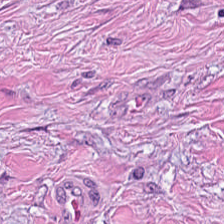224×224 px patch; hematoxylin and eosin — Tissue class = desmoplastic stroma.
